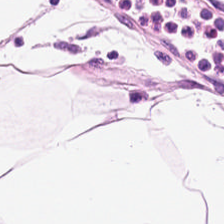H&E-stained tissue section — Q: What type of tissue is this?
A: Adipose tissue.
